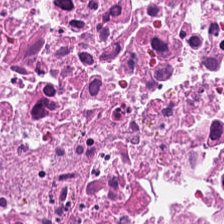H&E-stained tissue section.
Impression — cellular debris.
